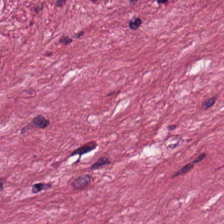20× equivalent magnification; H&E-stained tissue section.
The predominant tissue is cancer-associated stroma.
